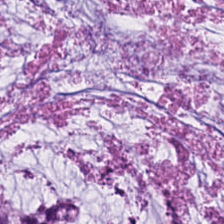Hematoxylin-and-eosin section: extracellular mucin.
